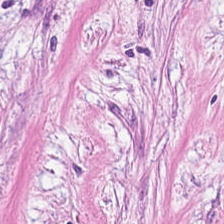Hematoxylin and eosin. Classification — cancer-associated stroma.
